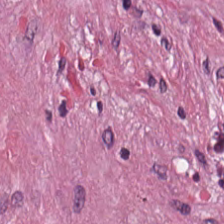Hematoxylin and eosin — This field is desmoplastic stroma.
